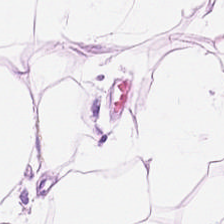Stain: hematoxylin and eosin.
Predominant tissue: fat tissue.
